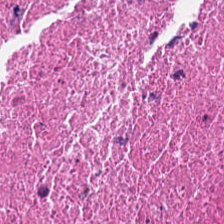Hematoxylin and eosin.
Finding — necrotic debris.
